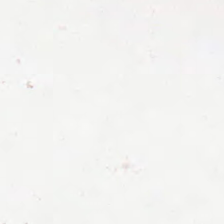Hematoxylin-and-eosin stained section.
Content = background.
